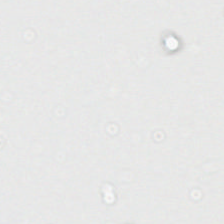No tissue.
